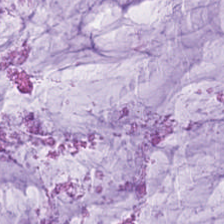20× equivalent magnification · formalin-fixed paraffin-embedded section · H&E.
Predominantly mucin.
